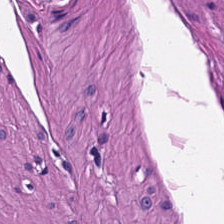FFPE; hematoxylin-and-eosin stained section; 0.5 µm/px. The classification is smooth muscle.
